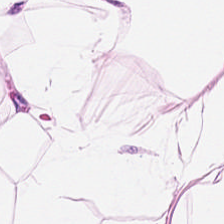FFPE; 224×224 px patch; hematoxylin and eosin — Q: Classify this patch.
A: Adipose tissue.
